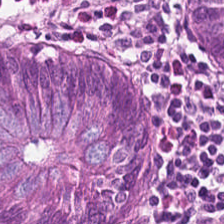H&E.
Showing benign colonic mucosa.
